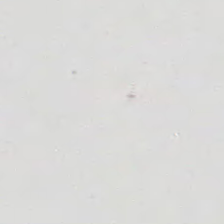H&E. Q: Classify this patch.
A: The field shows empty background.
